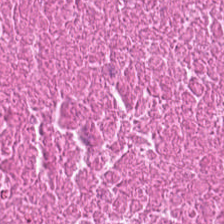H&E stain — The predominant tissue is cellular debris.
